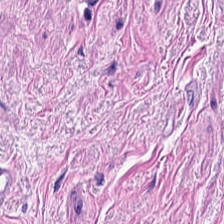Showing muscularis.
